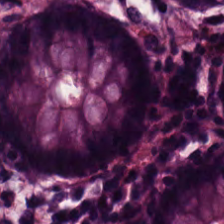H&E.
{"tissue_type": "normal colonic mucosa"}
